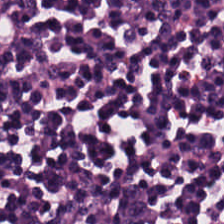The predominant tissue is lymphocytes.
